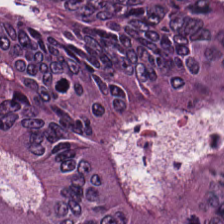Stain: H&E.
Acquisition: brightfield.
Tissue: colorectal adenocarcinoma.
